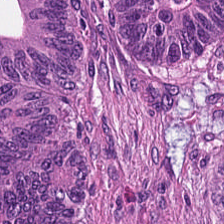This patch shows malignant epithelium.
